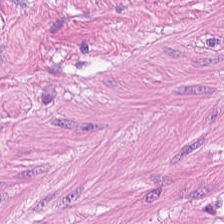This patch shows smooth muscle.
